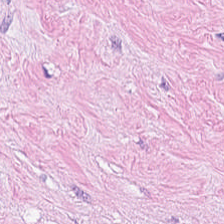Hematoxylin-and-eosin stained section.
The predominant tissue is tumor stroma.
